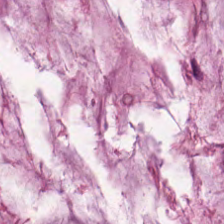Stain: H&E stain.
Predominant tissue: mucus.
